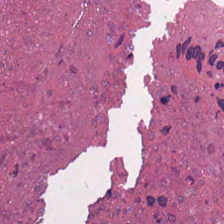Hematoxylin-and-eosin stained section.
Classification = necrotic debris.
